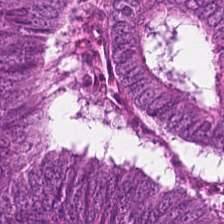H&E stain.
Tissue — malignant epithelium.
